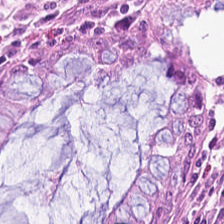The tissue is non-neoplastic colon mucosa.
